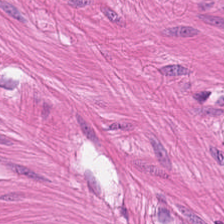H&E-stained tissue section · 224×224 pixel tile · FFPE.
Q: What tissue type is shown here?
A: The field shows muscularis.
